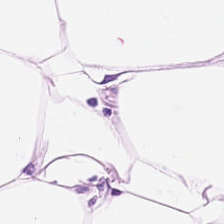H&E. Finding — adipocytes.
